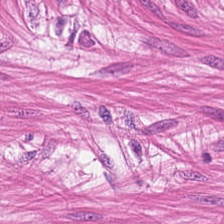Hematoxylin and eosin · 0.5 microns per pixel.
Predominantly smooth muscle.
